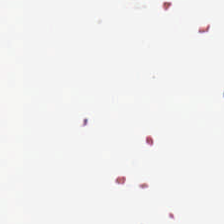Hematoxylin-and-eosin stained section; 224×224 pixel tile. Finding — background (no tissue).
